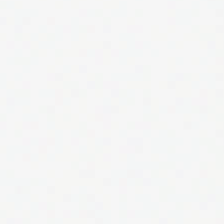Hematoxylin and eosin; 0.5 microns per pixel.
This patch shows background (no tissue).
